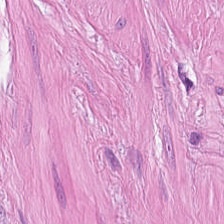Hematoxylin-and-eosin section: smooth-muscle tissue.
